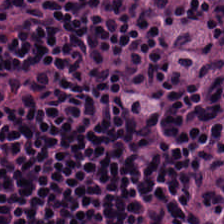H&E · 0.5 microns per pixel.
Q: Identify the tissue.
A: The field shows lymphocyte aggregate.
